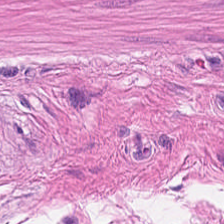FFPE tissue section · hematoxylin-and-eosin stained section. Q: What is shown here?
A: It is smooth-muscle tissue.
